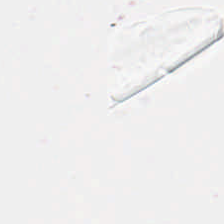224×224 px tile. H&E-stained tissue section. Empty field — background.
